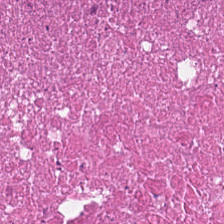Hematoxylin and eosin.
Histology → debris.
